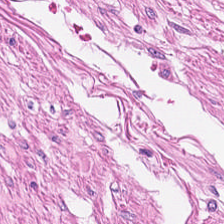Hematoxylin-and-eosin stained section; FFPE. Predominant tissue — muscularis.
